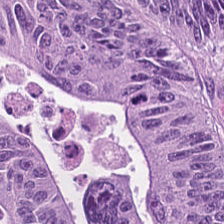Hematoxylin-and-eosin stained section — Predominantly colorectal adenocarcinoma.
